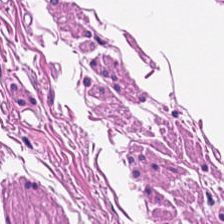Stain: H&E stain.
Acquisition: brightfield microscopy.
Tile size: 224×224 pixel tile.
Tissue: smooth-muscle tissue.
